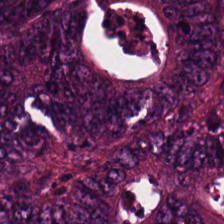FFPE; H&E-stained tissue section. Tissue — tumor epithelium.
